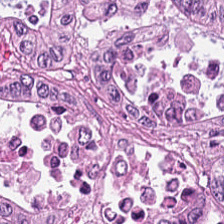Stain: hematoxylin and eosin.
Classification: malignant epithelium.
